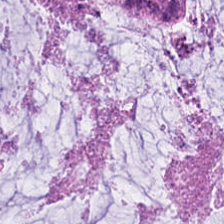Stain: H&E-stained tissue section.
Resolution: 0.5 µm/px.
Classification: mucus.
